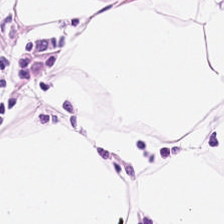Brightfield microscopy. Hematoxylin-and-eosin stained section. 224×224 pixel tile. Showing adipose.
